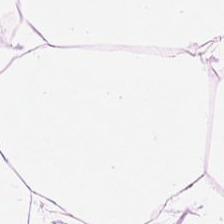Stain: hematoxylin and eosin.
Tissue class: fat tissue.
